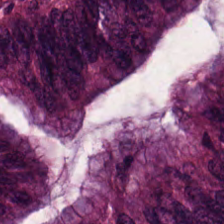Hematoxylin and eosin — Showing adenocarcinoma.
